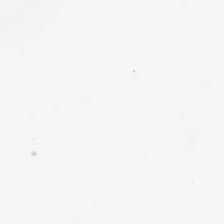H&E stain — Empty field — background (no tissue).
